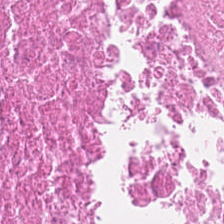H&E stain · 0.5 µm/px — Tissue type: necrotic debris.
